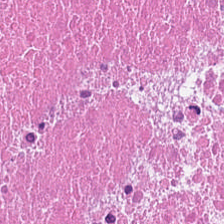0.5 µm per pixel · 224×224 pixel tile · H&E-stained tissue section. Tissue: debris.
